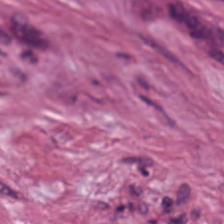224×224 px tile. H&E. Predominantly cancer-associated stroma.
